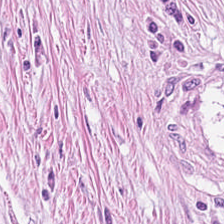H&E stain. Q: What tissue type is shown here?
A: It is cancer-associated stroma.
